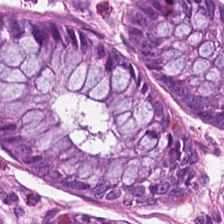H&E — Predominant tissue = benign colonic mucosa.
